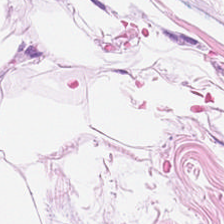H&E.
Tissue type — fat tissue.
